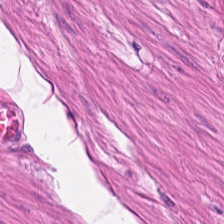Stain: H&E stain.
Preparation: FFPE.
Tile size: 224×224 px tile.
Tissue: smooth muscle.
